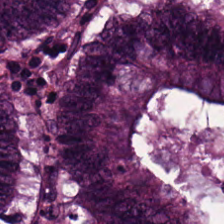Hematoxylin and eosin.
This patch shows adenocarcinoma.
